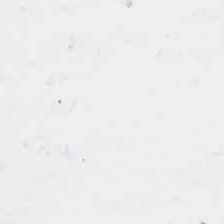H&E — Q: What is shown here?
A: It is no tissue.
